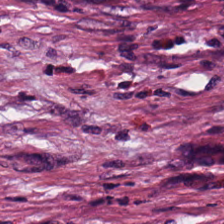Brightfield; H&E — Classification: desmoplastic stroma.
